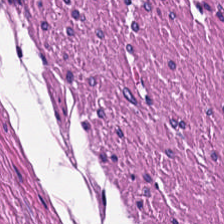This patch shows muscularis.
